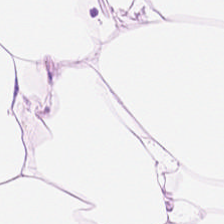224×224 px patch · whole-slide-image patch · H&E — This patch shows adipose tissue.
